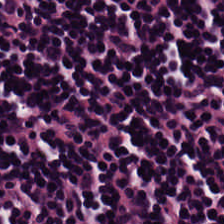0.5 µm/px. Hematoxylin-and-eosin stained section. Q: What is the predominant tissue type?
A: This is lymphocytes.
